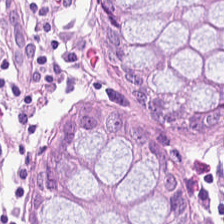H&E-stained tissue section.
Normal colon mucosa.
